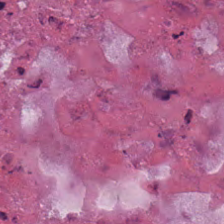Hematoxylin and eosin — Classification = debris.
